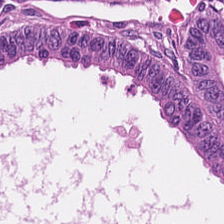Stain: hematoxylin and eosin.
Preparation: FFPE tissue section.
Tissue type: malignant epithelium.
